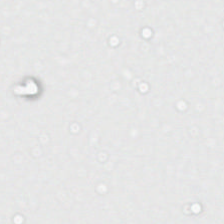224×224 px tile; H&E stain.
Empty field — no tissue.
